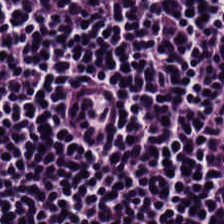FFPE tissue section. 20× equivalent magnification. H&E. Tissue class — lymphoid infiltrate.
